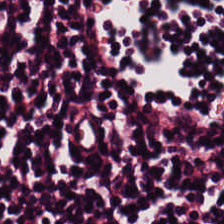H&E stain; 0.5 µm per pixel. Q: What does this patch show?
A: Lymphocyte aggregate.
